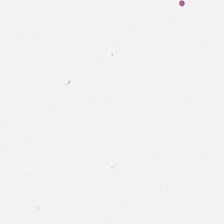0.5 µm/px; H&E-stained tissue section — Q: Classify this patch.
A: It is no tissue.
